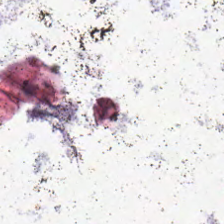H&E stain.
Background — no tissue in this field.
